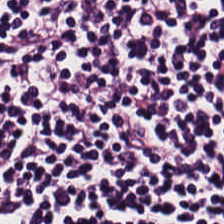H&E-stained tissue section; formalin-fixed paraffin-embedded section; whole-slide-image patch — Classification: lymphocytic infiltrate.
